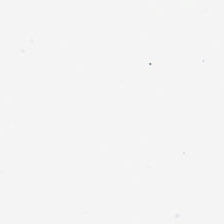H&E.
Impression → empty background.
